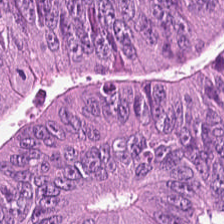Hematoxylin and eosin; 20× equivalent magnification; FFPE.
Q: Classify this patch.
A: This is colorectal adenocarcinoma.
